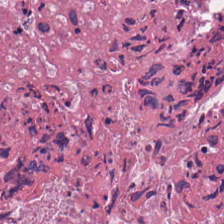Impression → debris.
